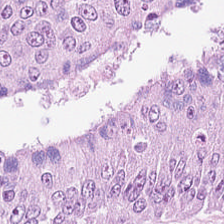Predominant tissue — tumor epithelium.
